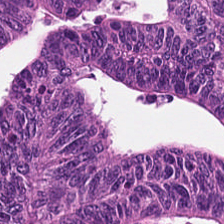H&E-stained tissue section showing colorectal adenocarcinoma.
